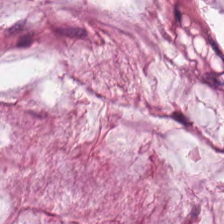H&E stain; FFPE — Predominantly mucin.
